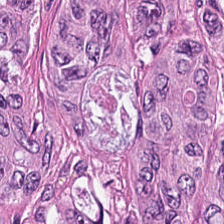H&E stain · 0.5 microns per pixel.
Q: What is shown here?
A: The field shows adenocarcinoma.
